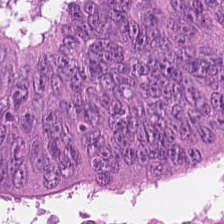H&E-stained tissue section; brightfield microscopy; 0.5 µm per pixel. Q: What tissue type is shown here?
A: This is malignant epithelium.
